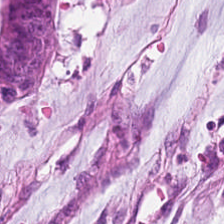Hematoxylin and eosin · whole-slide-image patch.
Showing mucus.
